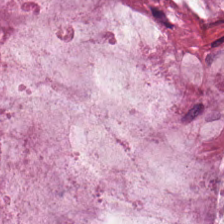224×224 px tile · H&E stain.
Tissue — mucus.
